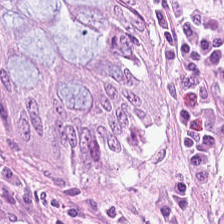Stain: hematoxylin-and-eosin stained section.
Preparation: FFPE tissue section.
Tissue: benign colonic mucosa.
